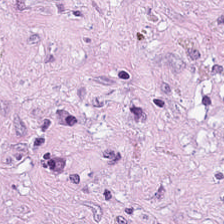0.5 µm/px · H&E stain · 224×224 px patch.
Showing tumor-associated stroma.
